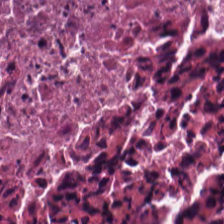Hematoxylin and eosin. Tissue type = necrotic debris.
